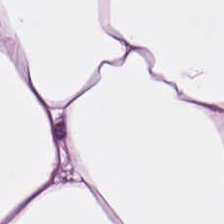Hematoxylin-and-eosin stained section · brightfield.
This patch shows adipose tissue.
